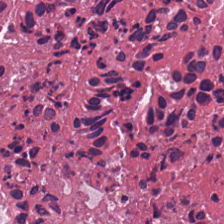FFPE tissue section · brightfield · hematoxylin-and-eosin stained section. Impression → cellular debris.
